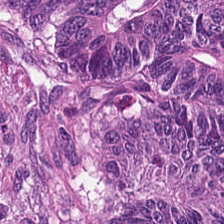H&E. Showing colorectal adenocarcinoma.
